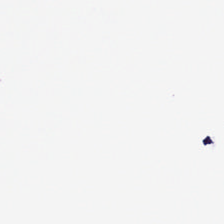Hematoxylin and eosin. Field content = empty background.
